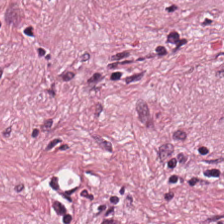H&E. 224×224 px patch. Finding — desmoplastic stroma.
